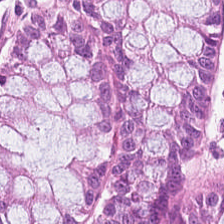H&E — Tissue type: normal colonic mucosa.
